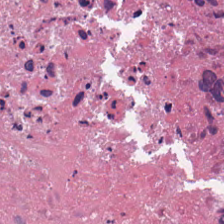224×224 px patch; H&E-stained tissue section. Q: What type of tissue is this?
A: This is debris.
